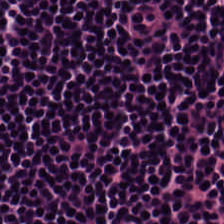Hematoxylin and eosin — Predominant tissue: lymphocytes.
